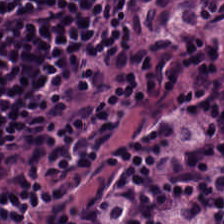224×224 px patch. Hematoxylin-and-eosin stained section — Q: What is shown in this field?
A: Lymphocyte aggregate.
